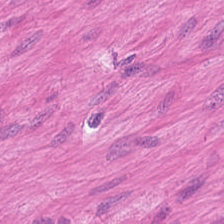Hematoxylin and eosin.
Q: What is shown here?
A: The field shows smooth-muscle tissue.
